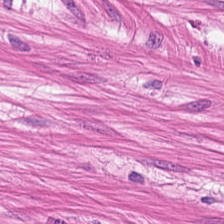0.5 µm per pixel; whole-slide-image patch; H&E stain — The predominant tissue is muscularis.
